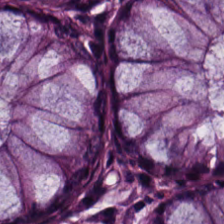Hematoxylin-and-eosin stained section. Brightfield — The predominant tissue is benign colonic mucosa.
